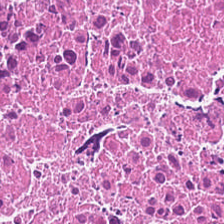Hematoxylin-and-eosin stained section.
Q: What does this patch show?
A: It is debris.
